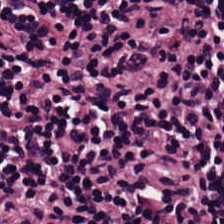Hematoxylin-and-eosin stained section. This patch shows lymphocyte aggregate.
